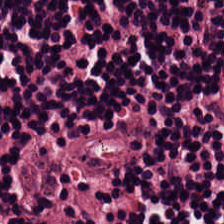0.5 µm per pixel. Hematoxylin and eosin.
The predominant tissue is lymphoid infiltrate.
